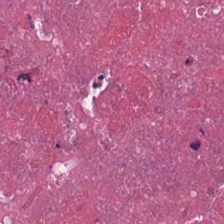Hematoxylin-and-eosin stained section — Q: What type of tissue is this?
A: This is cellular debris.
